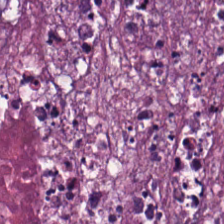Stain: H&E.
Tissue: cellular debris.
